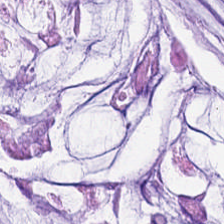Stain: H&E stain.
Tissue: mucin.
